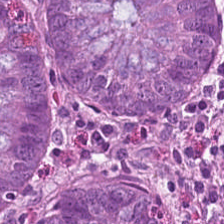Q: What is the predominant tissue type?
A: This is normal colonic mucosa.
